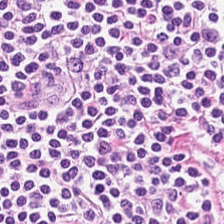Stain: H&E-stained tissue section.
Acquisition: brightfield.
Predominant tissue: lymphocyte aggregate.
